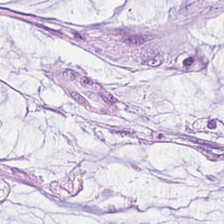H&E stain; FFPE tissue section; 224×224 pixel tile.
The tissue is extracellular mucin.
